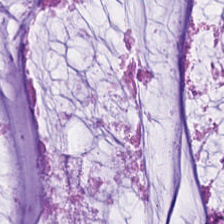The predominant tissue is extracellular mucin.
